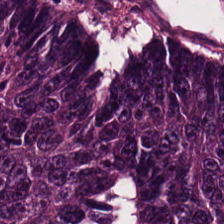H&E. The predominant tissue is colorectal adenocarcinoma epithelium.
